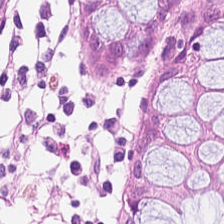H&E. Benign colonic mucosa.
